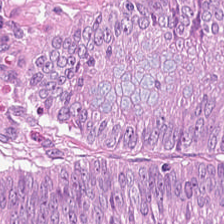Showing colorectal adenocarcinoma.
